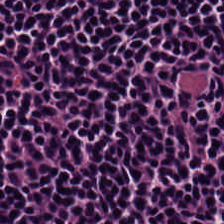H&E — Q: What tissue is shown?
A: This is lymphocytic infiltrate.
